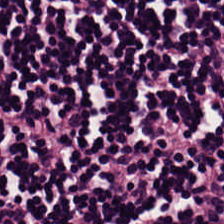H&E stain · 224×224 px tile.
Tissue: lymphocytic infiltrate.
